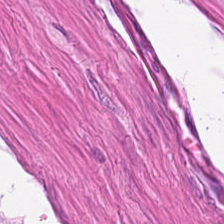{"tissue_type": "smooth-muscle tissue"}
